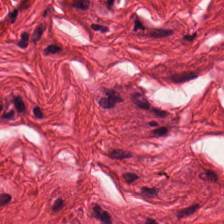H&E. Q: What type of tissue is this?
A: This is smooth muscle.
